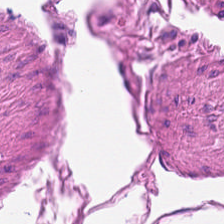H&E · 224×224 px tile — Tissue type: smooth muscle.
